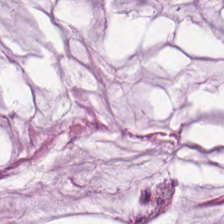Stain: H&E stain.
Tissue: mucin.
